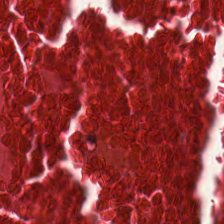H&E-stained tissue section. 224×224 px patch — The classification is debris.
